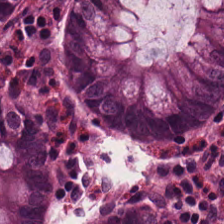Stain: hematoxylin-and-eosin stained section.
Tile size: 224×224 px tile.
Classification: normal colonic mucosa.
